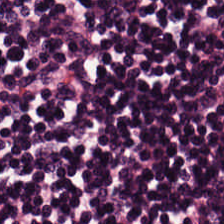224×224 px patch · FFPE tissue section · hematoxylin and eosin — The tissue here is lymphoid infiltrate.
